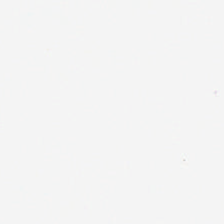H&E-stained tissue section.
Q: What does this patch show?
A: This is background (no tissue).
